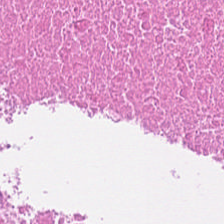H&E stain — Q: What is the predominant tissue type?
A: It is debris.
